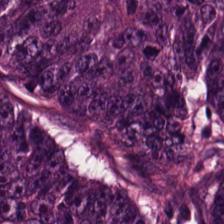H&E — The tissue type is colorectal adenocarcinoma epithelium.
